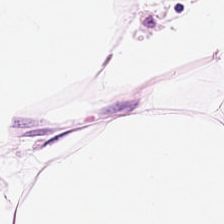Stain: hematoxylin-and-eosin stained section.
Resolution: 0.5 microns per pixel.
Classification: adipocytes.
